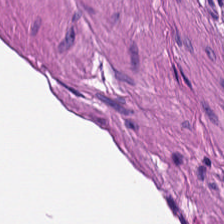Stain: H&E.
Classification: smooth-muscle tissue.
